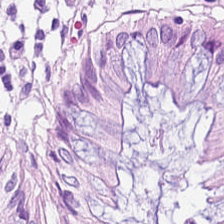0.5 µm/px · hematoxylin-and-eosin stained section · brightfield.
Q: What does this patch show?
A: This is non-neoplastic colon mucosa.
